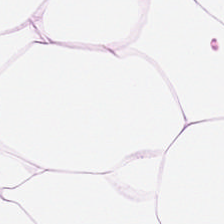H&E — {"tissue_type": "adipose"}
